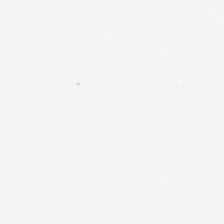0.5 µm per pixel; H&E. No tissue present; background only.
